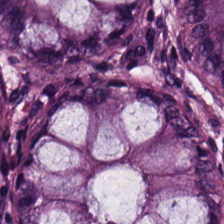Q: Identify the tissue.
A: It is normal colon mucosa.
